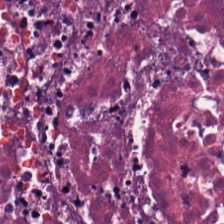H&E-stained section; the field shows cellular debris.
